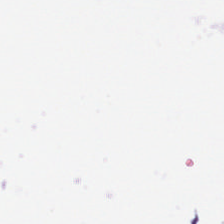Stain: H&E stain.
Content: background (no tissue).
